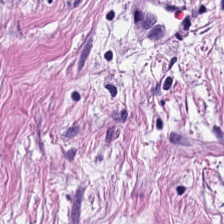Stain: hematoxylin and eosin.
Tissue: tumor stroma.
